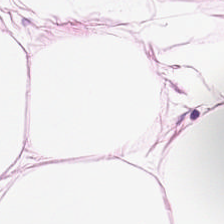224×224 pixel tile · hematoxylin and eosin · brightfield microscopy — Tissue type: adipose.
